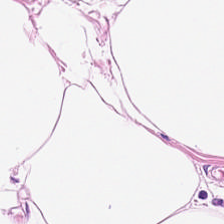H&E stain; 0.5 µm/px; 224×224 px tile.
Fat tissue.
